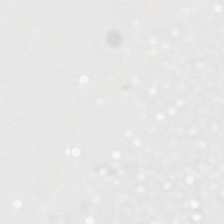H&E-stained tissue section.
Background — no tissue in this field.
